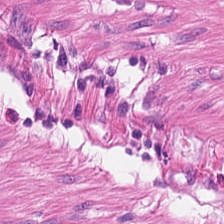H&E — muscularis.
